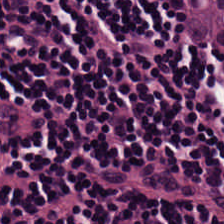Q: What type of tissue is this?
A: This is lymphocyte aggregate.
